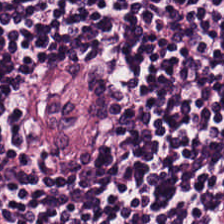H&E — lymphocytic infiltrate.
